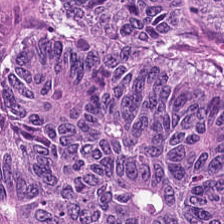H&E-stained tissue section.
The predominant tissue is colorectal adenocarcinoma.
